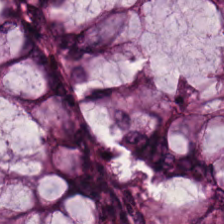WSI patch. H&E stain.
Non-neoplastic colon mucosa.
